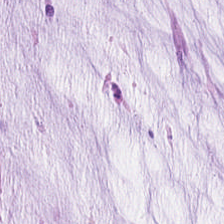H&E stain.
Q: What tissue is shown?
A: It is mucus.
